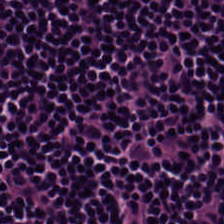FFPE; 224×224 px patch; hematoxylin-and-eosin stained section.
Predominantly lymphocytic infiltrate.
